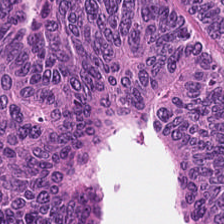Hematoxylin-and-eosin stained section — Impression — tumor epithelium.
